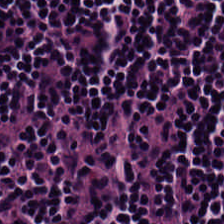Classification = lymphocytes.
